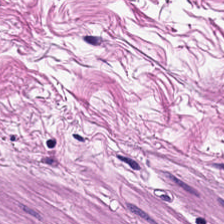Hematoxylin and eosin.
Tissue: smooth muscle.
